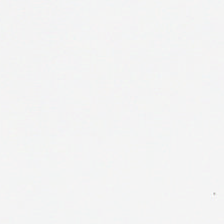Brightfield; hematoxylin and eosin. Field content: empty background.
